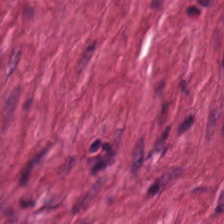H&E stain — Impression — smooth muscle.
